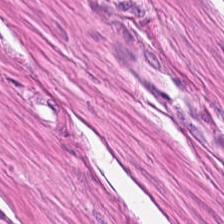Predominant tissue — smooth muscle.
